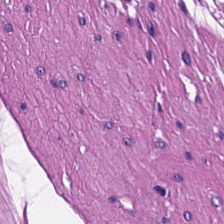H&E-stained tissue section.
Q: What is shown in this field?
A: This is muscularis.
